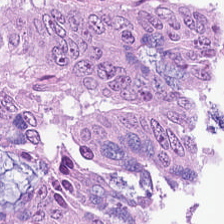224×224 px patch. Hematoxylin-and-eosin stained section. FFPE tissue section. This field is adenocarcinoma.
